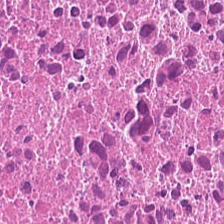Hematoxylin and eosin — Q: What type of tissue is this?
A: It is debris.
